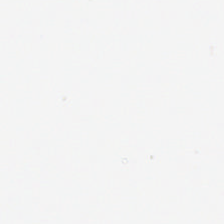Whole-slide-image patch. 224×224 px patch. H&E-stained tissue section — No tissue present; background only.
